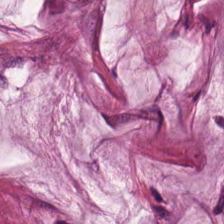Hematoxylin-and-eosin stained section.
Impression → mucus.
